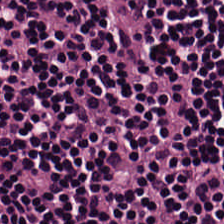Predominant tissue — lymphoid infiltrate.
